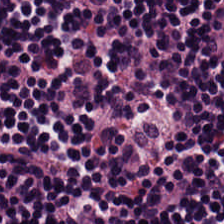The predominant tissue is lymphocytes.
